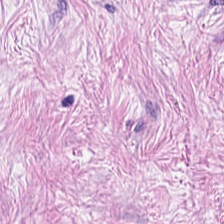0.5 microns per pixel. 224×224 pixel tile. Hematoxylin-and-eosin stained section.
Impression — desmoplastic stroma.
